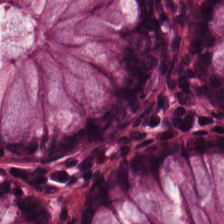{"tissue_type": "non-neoplastic colon mucosa"}
